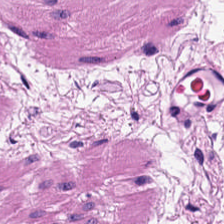H&E. Tissue class = smooth-muscle tissue.
